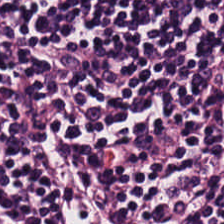The tissue class is lymphocyte aggregate.
